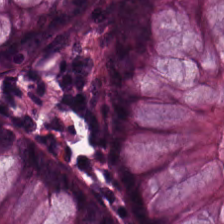224×224 px patch · hematoxylin-and-eosin stained section · 0.5 µm/px. Impression → benign colonic mucosa.
